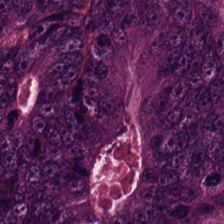H&E stain — Tissue type = malignant epithelium.
